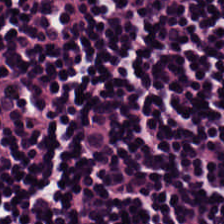Hematoxylin-and-eosin stained section. Q: What tissue type is shown here?
A: Lymphoid infiltrate.
